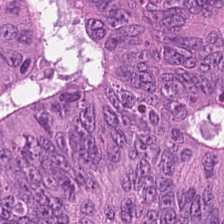Hematoxylin and eosin. Showing tumor epithelium.
